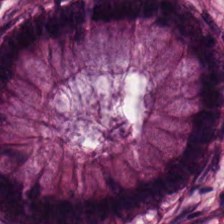H&E. 0.5 µm per pixel.
Predominant tissue = normal colon mucosa.
